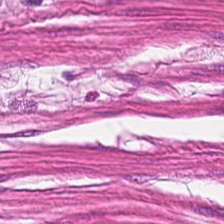H&E. Histology → smooth muscle.
